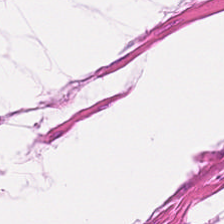H&E stain. Tissue class: smooth-muscle tissue.
